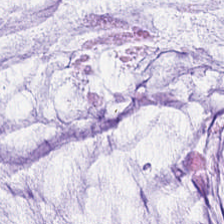H&E-stained tissue section. The tissue class is mucin.
